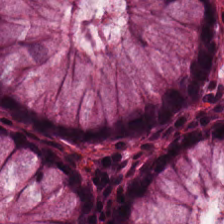H&E. Q: What is shown in this field?
A: This is normal colonic mucosa.
